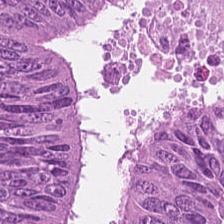FFPE tissue section. 0.5 µm per pixel. H&E-stained tissue section.
Q: Classify this patch.
A: Colorectal adenocarcinoma.
